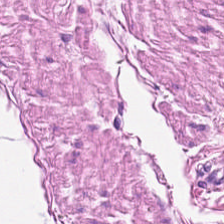Stain: hematoxylin and eosin.
Resolution: 20× equivalent magnification.
Classification: muscularis.
